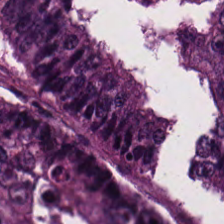FFPE. H&E stain.
This patch shows colorectal adenocarcinoma.
